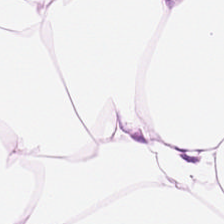H&E-stained tissue section. 0.5 microns per pixel — This field is fat tissue.
